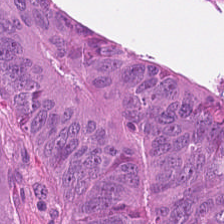Predominant tissue = colorectal adenocarcinoma.
